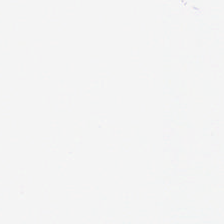H&E-stained tissue section. Field content — background (no tissue).
